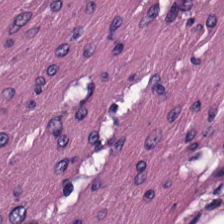0.5 µm/px; hematoxylin-and-eosin stained section.
Smooth-muscle tissue.
